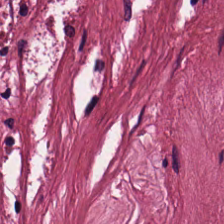H&E · whole-slide-image patch · 0.5 µm/px — Finding — cancer-associated stroma.
